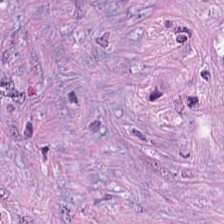Hematoxylin and eosin; formalin-fixed paraffin-embedded section.
This patch shows tumor-associated stroma.
